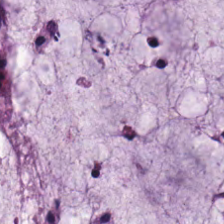Tissue — extracellular mucin.
